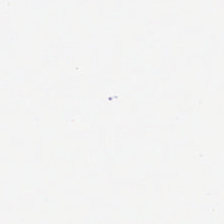Hematoxylin-and-eosin stained section. WSI patch. 0.5 µm/px.
Field content: no tissue.
